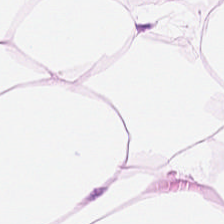Hematoxylin-and-eosin stained section. This patch shows fat tissue.
